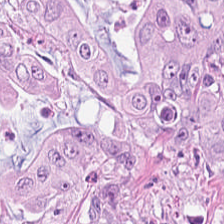0.5 µm per pixel · hematoxylin and eosin · whole-slide-image patch — Showing malignant epithelium.
